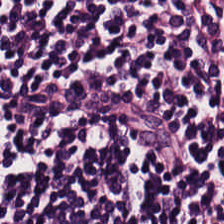Stain: hematoxylin-and-eosin stained section.
Tissue: lymphocytic infiltrate.
